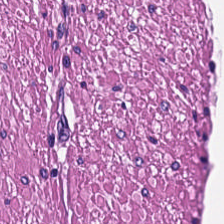H&E — This field is smooth-muscle tissue.
